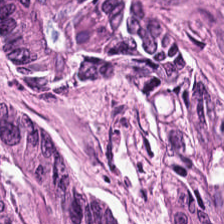Hematoxylin and eosin — This patch shows malignant epithelium.
